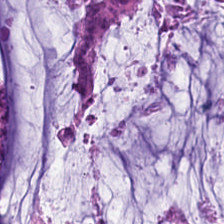Formalin-fixed paraffin-embedded section; H&E-stained tissue section — The tissue here is extracellular mucin.
